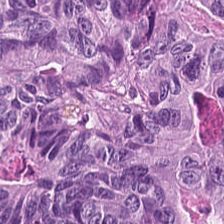Hematoxylin and eosin — Q: What tissue type is shown here?
A: It is tumor epithelium.
